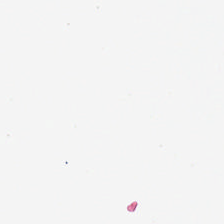Hematoxylin and eosin; FFPE. Background — no tissue in this field.
